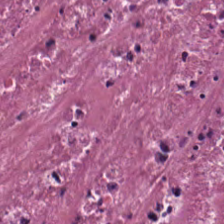H&E — debris.
